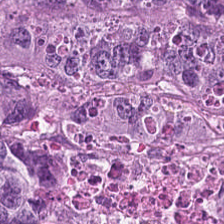H&E.
Q: What does this patch show?
A: The field shows malignant epithelium.
